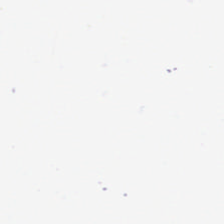Hematoxylin and eosin — Empty field — empty background.
